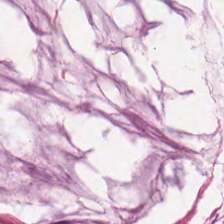Formalin-fixed paraffin-embedded section · hematoxylin and eosin · 224×224 pixel tile. Showing mucin.
